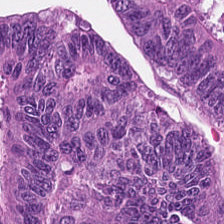Stain: hematoxylin-and-eosin stained section.
Classification: colorectal adenocarcinoma epithelium.
